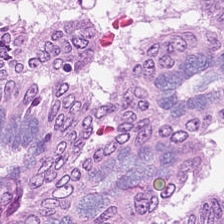0.5 µm per pixel · H&E stain — Finding → adenocarcinoma.
